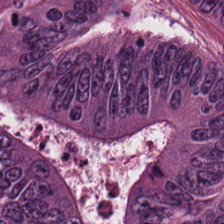Tissue — tumor epithelium.
